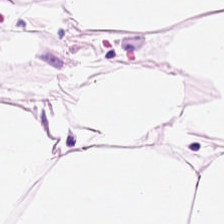Classification: fat tissue.
